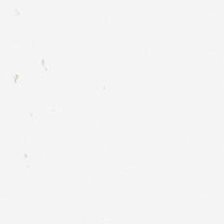H&E-stained tissue section. 224×224 px patch — No tissue present; background only.
